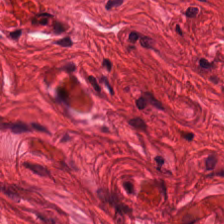H&E stain.
Predominant tissue: smooth muscle.
